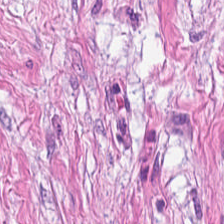Stain: H&E-stained tissue section.
Resolution: 0.5 µm/px.
Tissue type: desmoplastic stroma.
